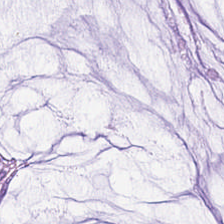Q: What tissue type is shown here?
A: The field shows mucin.
